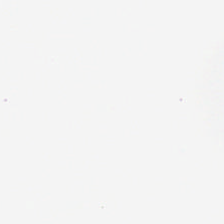0.5 microns per pixel; H&E stain.
This field is background (no tissue).
